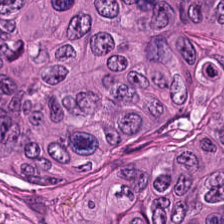H&E stain.
{"tissue_type": "adenocarcinoma"}
